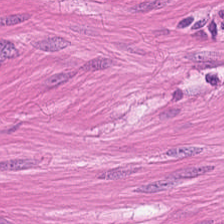Stain: H&E-stained tissue section.
Preparation: formalin-fixed paraffin-embedded section.
Tile size: 224×224 px tile.
Predominant tissue: muscularis.
